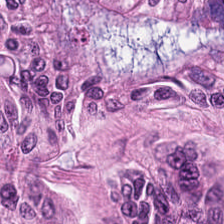H&E stain · 224×224 px tile. Q: What is shown here?
A: The field shows malignant epithelium.
